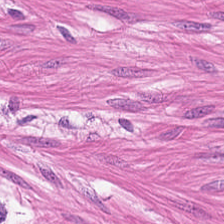The tissue class is smooth-muscle tissue.
